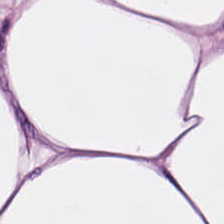Showing adipose tissue.
